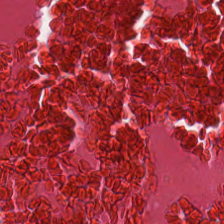Stain: hematoxylin and eosin.
Tissue type: debris.
